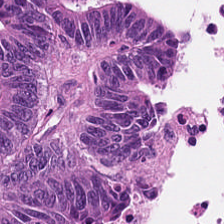Impression → tumor epithelium.
